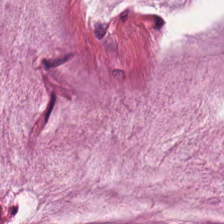FFPE tissue section. H&E. Q: Classify this patch.
A: It is mucus.
